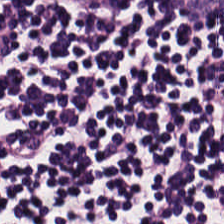Hematoxylin-and-eosin stained section; 0.5 µm/px.
Q: What tissue is shown?
A: Lymphocytes.
